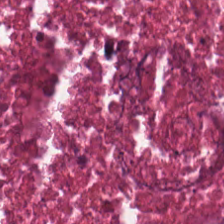H&E-stained tissue section. Formalin-fixed paraffin-embedded section. Brightfield microscopy — Q: Identify the tissue.
A: It is debris.
